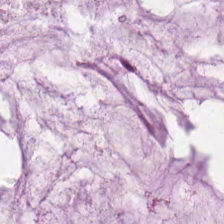Histology — extracellular mucin.
